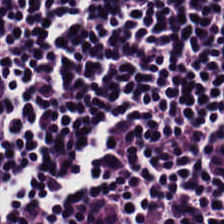Stain: H&E-stained tissue section.
Preparation: formalin-fixed paraffin-embedded section.
Acquisition: whole-slide-image patch.
Tissue type: lymphoid infiltrate.
